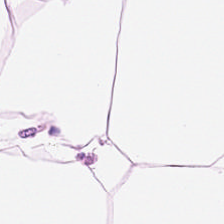Hematoxylin-and-eosin stained section — This patch shows fat tissue.
